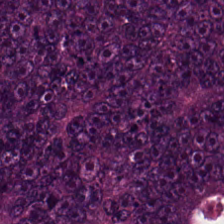H&E-stained section; the field shows adenocarcinoma.
